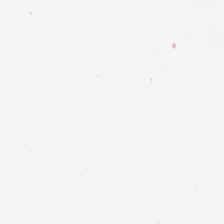Hematoxylin and eosin. Q: Classify this patch.
A: The field shows no tissue.
